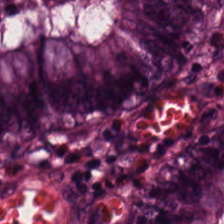H&E.
Impression → non-neoplastic colon mucosa.
